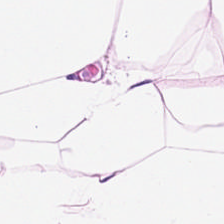Brightfield microscopy. Hematoxylin and eosin. Predominant tissue: adipocytes.
